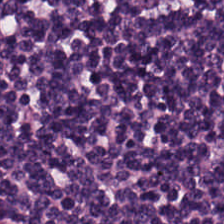H&E.
Impression → lymphocytic infiltrate.
